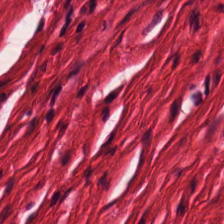20× equivalent magnification. H&E.
Classification = smooth muscle.
